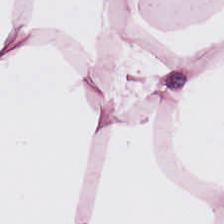Tissue class: fat tissue.
